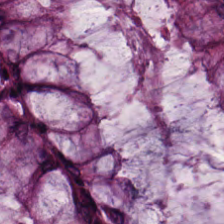Hematoxylin and eosin. {"tissue_type": "normal colon mucosa"}
